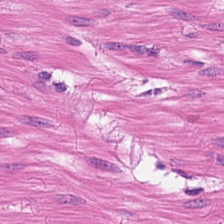224×224 px patch; H&E stain.
Muscularis.
